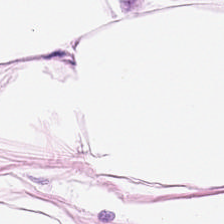H&E patch showing adipose.
